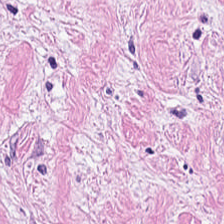H&E · whole-slide-image patch · 0.5 microns per pixel — Q: What type of tissue is this?
A: It is tumor-associated stroma.
